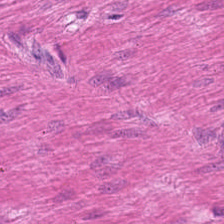H&E.
Predominantly muscularis.
